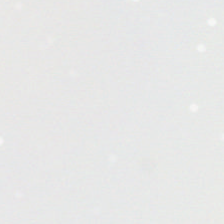Stain: H&E.
Field content: no tissue.
